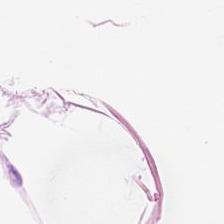Classification — fat tissue.
